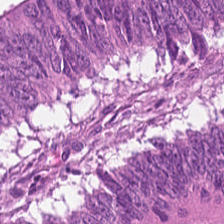H&E-stained tissue section — The predominant tissue is colorectal adenocarcinoma epithelium.
